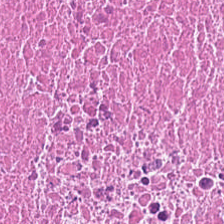0.5 µm per pixel. Hematoxylin and eosin — Impression — necrotic debris.
